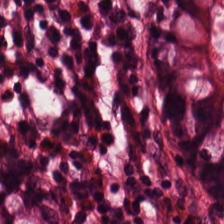The tissue type is normal colon mucosa.
